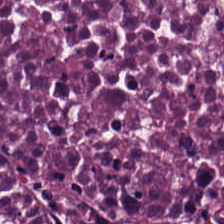Stain: hematoxylin and eosin.
Tile size: 224×224 px patch.
Acquisition: brightfield microscopy.
Tissue: cellular debris.
